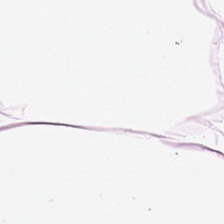Stain: hematoxylin-and-eosin stained section.
Acquisition: WSI patch.
Resolution: 20× equivalent magnification.
Tissue: adipocytes.
